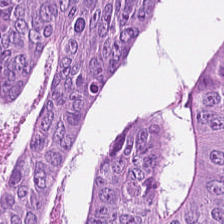{"tissue_type": "colorectal adenocarcinoma"}
